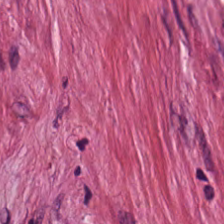224×224 pixel tile · H&E. The predominant tissue is tumor-associated stroma.
